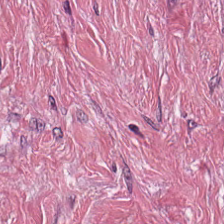H&E stain — Predominantly tumor stroma.
